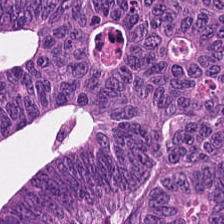Hematoxylin and eosin; WSI patch — Tissue: tumor epithelium.
